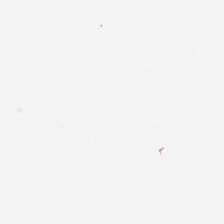Brightfield microscopy; hematoxylin-and-eosin stained section. Content = no tissue.
